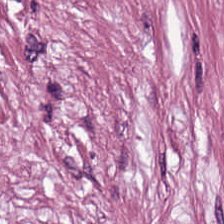H&E · formalin-fixed paraffin-embedded section.
Predominant tissue: cancer-associated stroma.
